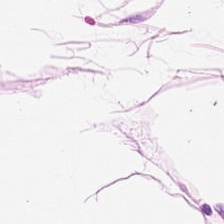Hematoxylin and eosin. FFPE. This patch shows adipocytes.
